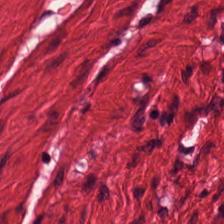FFPE; hematoxylin-and-eosin stained section.
Histology — smooth muscle.
